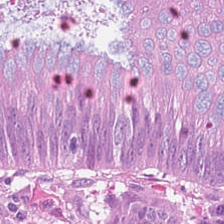0.5 microns per pixel; H&E-stained tissue section. The tissue here is colorectal adenocarcinoma epithelium.
